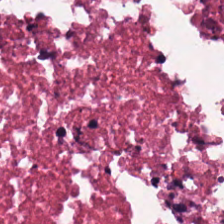H&E stain. Finding → necrotic debris.
